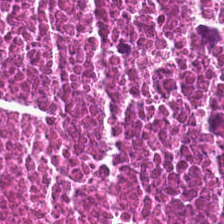H&E-stained tissue section — Tissue: necrotic debris.
